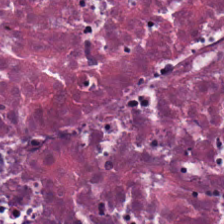FFPE · H&E-stained tissue section · 20× equivalent magnification.
Cellular debris.
